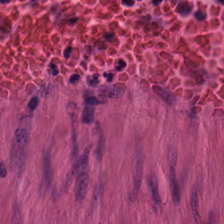Tissue type — smooth-muscle tissue.
